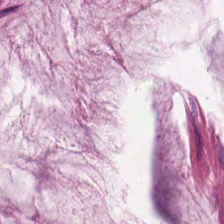H&E. Formalin-fixed paraffin-embedded section.
The predominant tissue is mucin.
